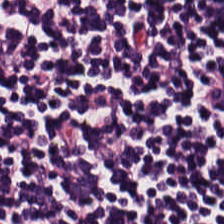The predominant tissue is lymphocyte aggregate.
